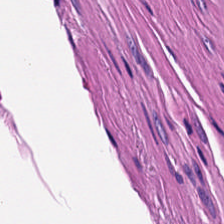Whole-slide-image patch · H&E-stained tissue section.
The predominant tissue is muscularis.
